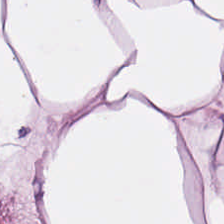H&E stain.
The predominant tissue is adipose.
